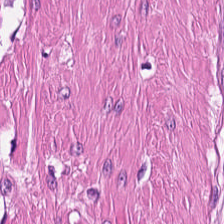Impression → smooth muscle.
